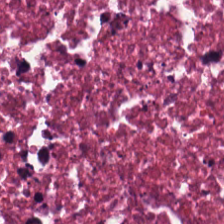Impression — necrotic debris.
